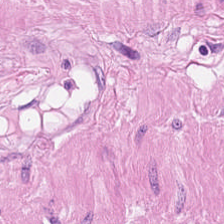Hematoxylin and eosin — Tissue type = smooth muscle.
